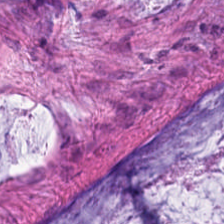H&E stain.
Tissue type: extracellular mucin.
